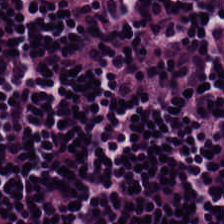Impression → lymphocytes.
